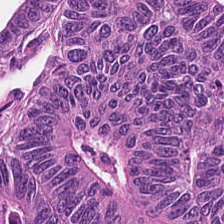H&E-stained tissue section. Q: What is shown here?
A: Tumor epithelium.
